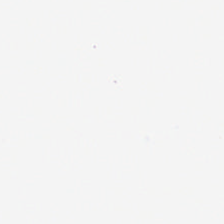H&E stain.
Field content — no tissue.
